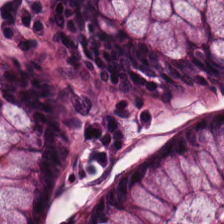Predominantly non-neoplastic colon mucosa.
